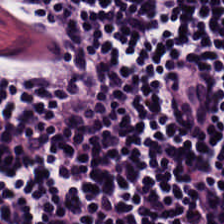Stain: H&E-stained tissue section.
Predominant tissue: lymphocytic infiltrate.
